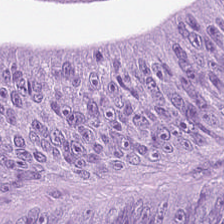0.5 µm/px; hematoxylin and eosin — Classification = colorectal adenocarcinoma.
